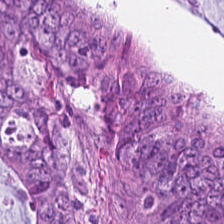Stain: H&E.
Classification: adenocarcinoma.
